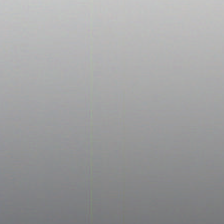Stain: H&E stain.
Field content: background.
